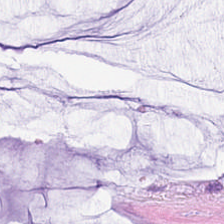Whole-slide-image patch · 224×224 px tile · H&E stain.
Tissue type = mucus.
